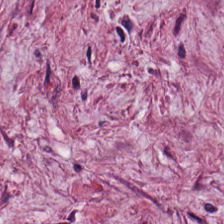Impression — tumor-associated stroma.
